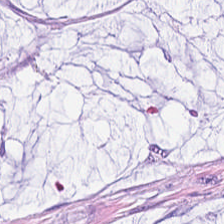H&E-stained tissue section; 20× equivalent magnification.
Tissue class: mucin.
